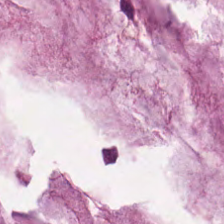Tissue: mucin.
